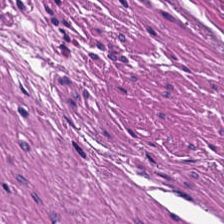H&E stain. Q: What does this patch show?
A: The field shows muscularis.
